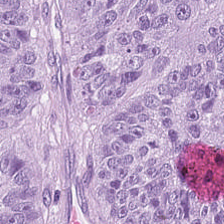H&E · 224×224 px patch — Q: Identify the tissue.
A: The field shows malignant epithelium.
